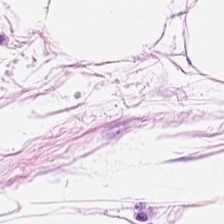This field is fat tissue.
